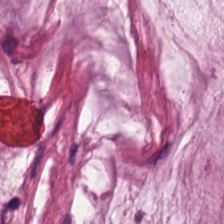224×224 px tile; hematoxylin and eosin; 0.5 µm per pixel — Classification: mucin.
